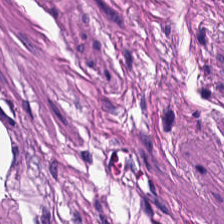20× equivalent magnification · H&E stain · FFPE tissue section.
Predominant tissue = smooth muscle.
